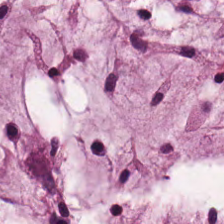H&E-stained tissue section.
Q: Classify this patch.
A: It is extracellular mucin.
